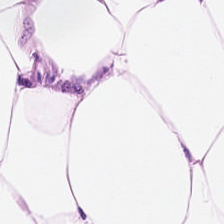Brightfield microscopy; H&E — This field is adipocytes.
